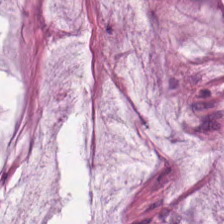H&E.
This patch shows mucin.
